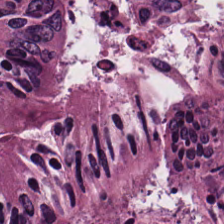0.5 µm/px · H&E stain. This patch shows malignant epithelium.
